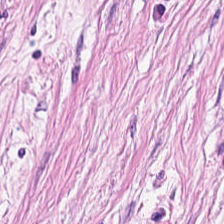Hematoxylin-and-eosin stained section — The tissue here is cancer-associated stroma.
